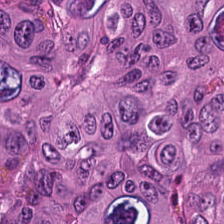Finding → colorectal adenocarcinoma epithelium.
